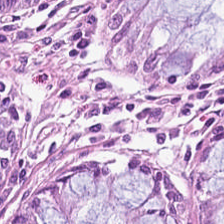20× equivalent magnification · hematoxylin and eosin · formalin-fixed paraffin-embedded section. Showing normal colonic mucosa.
